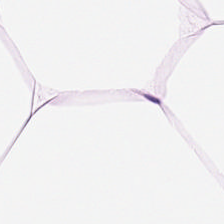Stain: H&E.
Classification: fat tissue.
